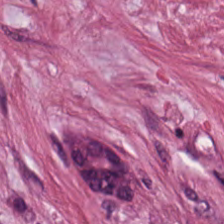Stain: hematoxylin and eosin.
Classification: cancer-associated stroma.
